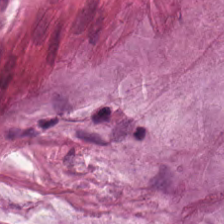Hematoxylin and eosin.
Tissue: mucin.
